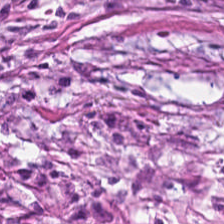Stain: H&E-stained tissue section.
Preparation: formalin-fixed paraffin-embedded section.
Tile size: 224×224 pixel tile.
Tissue class: cancer-associated stroma.
